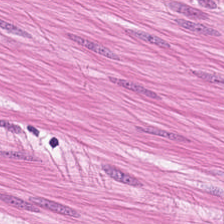H&E-stained tissue section.
Tissue class — smooth-muscle tissue.
